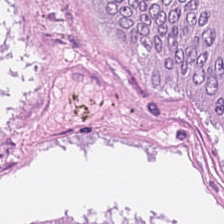0.5 µm/px · hematoxylin-and-eosin stained section.
Histology — colorectal adenocarcinoma epithelium.
